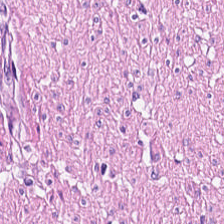H&E-stained tissue section — Tissue class: smooth-muscle tissue.
